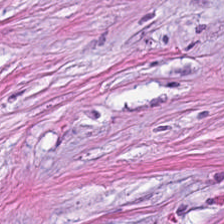H&E · 224×224 px patch. Predominantly tumor-associated stroma.
